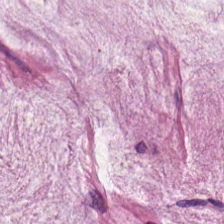0.5 µm/px · hematoxylin and eosin · brightfield microscopy. Q: What tissue type is shown here?
A: The field shows mucin.
